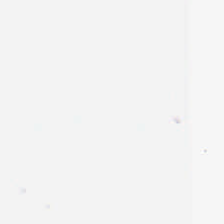H&E-stained tissue section.
Field content = background (no tissue).
